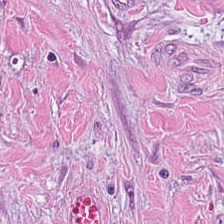Q: What does this patch show?
A: It is cancer-associated stroma.
